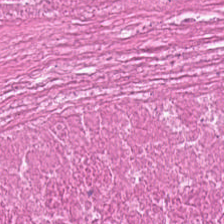H&E stain; WSI patch — The tissue here is necrotic debris.
